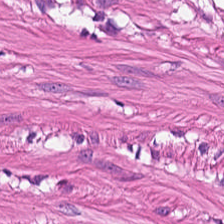Tissue — smooth muscle.
